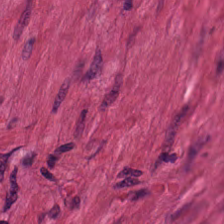Tissue type: smooth muscle.
